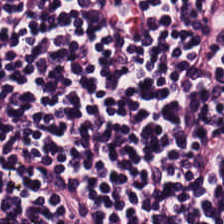The tissue is lymphocyte aggregate.
